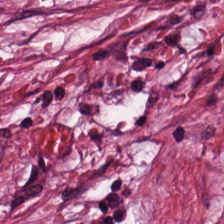0.5 µm/px; H&E; formalin-fixed paraffin-embedded section.
This field is cancer-associated stroma.
